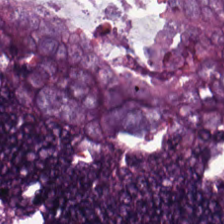H&E stain. 0.5 µm/px. Q: What is the predominant tissue type?
A: This is adenocarcinoma.
